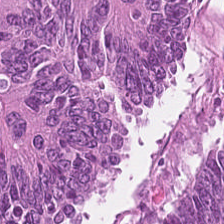Formalin-fixed paraffin-embedded section; hematoxylin and eosin — Q: What does this patch show?
A: The field shows colorectal adenocarcinoma epithelium.
